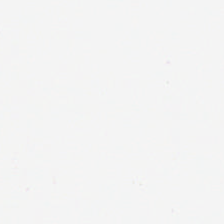H&E-stained tissue section. Finding → no tissue.
